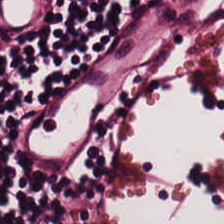H&E; 20× equivalent magnification; whole-slide-image patch — Showing lymphocyte aggregate.
